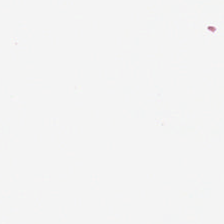Content: empty background.
